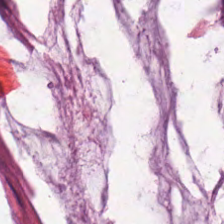0.5 microns per pixel · H&E-stained tissue section. Q: What is shown in this field?
A: This is extracellular mucin.
